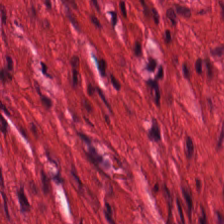Stain: hematoxylin and eosin.
Acquisition: whole-slide-image patch.
Tissue type: muscularis.
